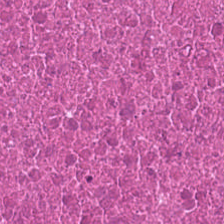H&E. 224×224 px patch. FFPE.
Predominant tissue: cellular debris.
